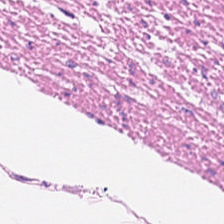FFPE tissue section; H&E. Histology — smooth muscle.
